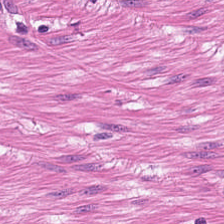Hematoxylin and eosin — Histology → muscularis.
